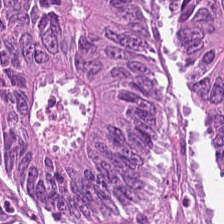Brightfield · H&E-stained tissue section. Showing tumor epithelium.
